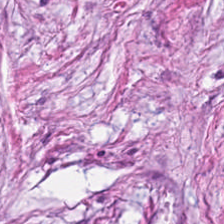H&E.
Q: What tissue is shown?
A: It is cancer-associated stroma.
